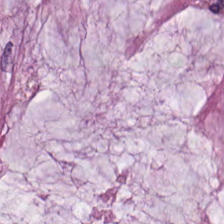H&E-stained tissue section — The tissue here is extracellular mucin.
